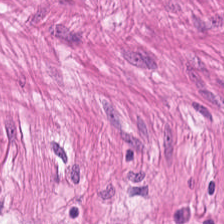Hematoxylin and eosin — Q: What is the predominant tissue type?
A: It is smooth muscle.
